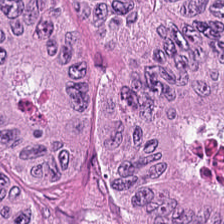Impression — colorectal adenocarcinoma epithelium.
